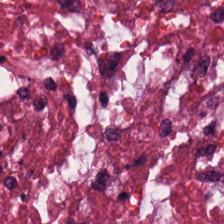Hematoxylin and eosin · brightfield. This patch shows cellular debris.
